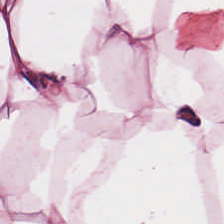The tissue here is adipose.
